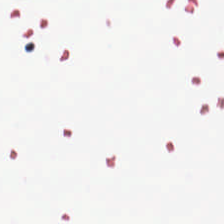FFPE. Hematoxylin and eosin. Brightfield microscopy — The field content is empty background.
